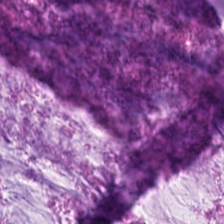20× equivalent magnification. H&E stain. Brightfield. Mucus.
